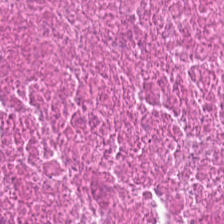Hematoxylin-and-eosin section: cellular debris.
